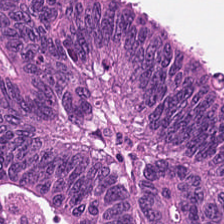0.5 µm per pixel · H&E stain. Classification: malignant epithelium.
